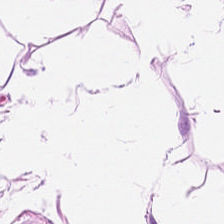Stain: hematoxylin and eosin.
Predominant tissue: fat tissue.
